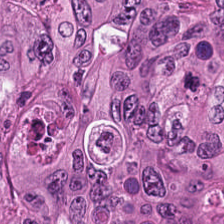0.5 µm/px. H&E. Predominantly malignant epithelium.
